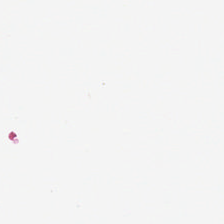H&E. 0.5 µm per pixel — Q: What is shown here?
A: The field shows empty background.
